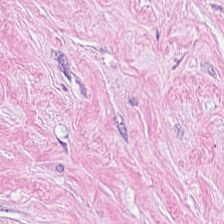H&E-stained tissue section showing tumor stroma.
